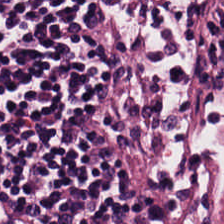Hematoxylin and eosin.
This field is lymphoid infiltrate.
